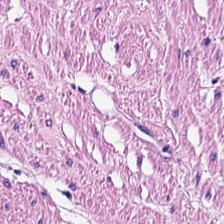0.5 µm/px · H&E-stained tissue section · FFPE tissue section.
Predominant tissue: smooth muscle.
